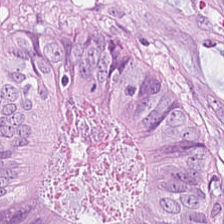{"tissue_type": "tumor epithelium"}
